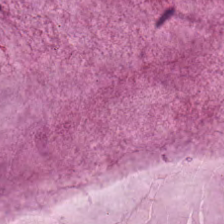H&E stain — Predominantly mucin.
